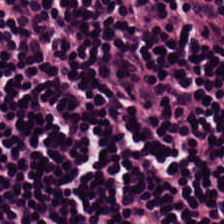224×224 px tile; hematoxylin-and-eosin stained section — Impression → lymphocytes.
